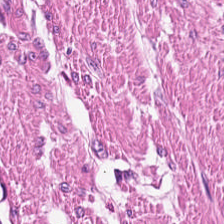H&E stain.
Q: What is shown here?
A: This is smooth muscle.
